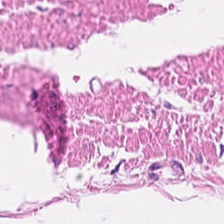224×224 px tile · hematoxylin and eosin · brightfield microscopy — The tissue class is smooth muscle.
